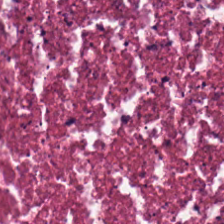Hematoxylin-and-eosin stained section. The tissue here is necrotic debris.
